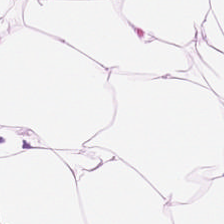Formalin-fixed paraffin-embedded section; H&E-stained tissue section.
Q: Classify this patch.
A: This is adipose.
